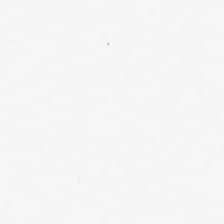This field is background (no tissue).
